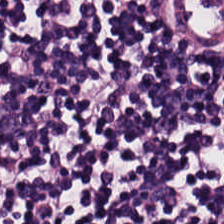Stain: H&E stain.
Tissue class: lymphocytes.
